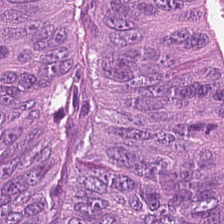Tissue class — malignant epithelium.
